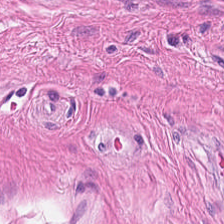Smooth muscle.
